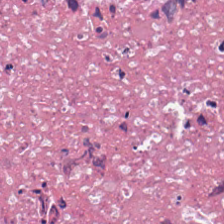H&E-stained tissue section · formalin-fixed paraffin-embedded section · whole-slide-image patch. Predominantly debris.
